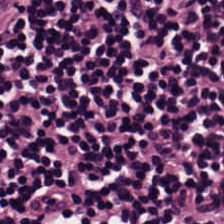H&E-stained tissue section — Tissue — lymphoid infiltrate.
